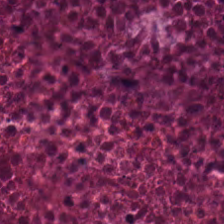Hematoxylin-and-eosin stained section.
The tissue here is necrotic debris.
